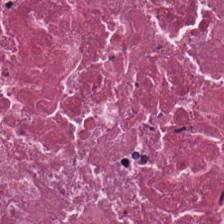Hematoxylin and eosin — The predominant tissue is necrotic debris.
